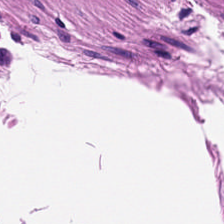224×224 pixel tile. Hematoxylin and eosin.
This patch shows muscularis.
